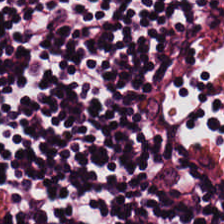Showing lymphocytic infiltrate.
